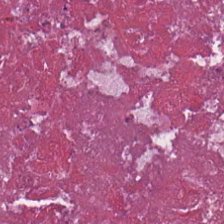Brightfield. Hematoxylin-and-eosin stained section. The tissue here is necrotic debris.
